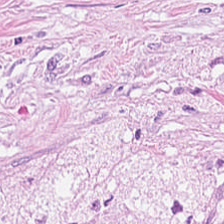H&E patch showing cancer-associated stroma.
